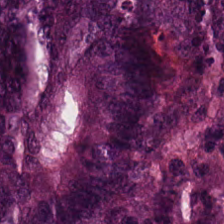The tissue type is malignant epithelium.
